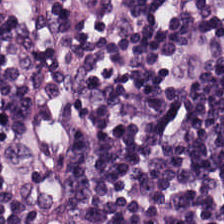H&E patch showing lymphocyte aggregate.
